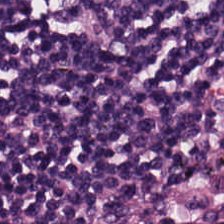Hematoxylin and eosin. The predominant tissue is lymphocytes.
